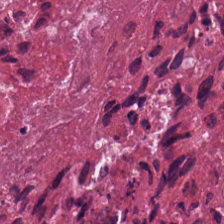H&E-stained tissue section. Predominant tissue: necrotic debris.
